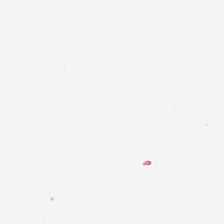The classification is background.
